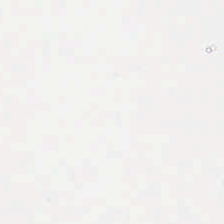Classification = background.
